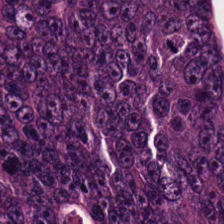WSI patch · FFPE tissue section · hematoxylin and eosin — Predominant tissue: tumor epithelium.
